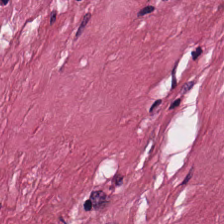20× equivalent magnification; H&E-stained tissue section; brightfield — {"tissue_type": "cancer-associated stroma"}
